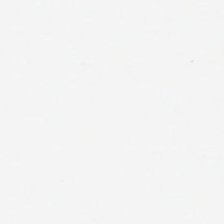Formalin-fixed paraffin-embedded section. H&E stain.
Q: Classify this patch.
A: This is empty background.
